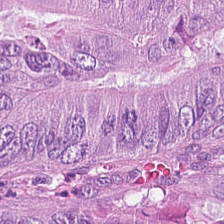H&E-stained section; the field shows colorectal adenocarcinoma epithelium.
